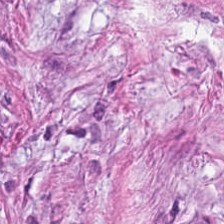Hematoxylin-and-eosin stained section.
Desmoplastic stroma.
